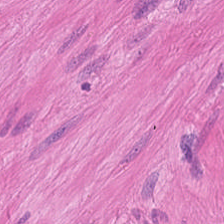H&E-stained tissue section — Smooth muscle.
